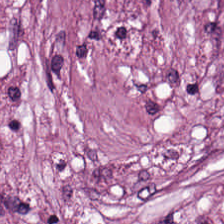H&E stain — Predominantly tumor stroma.
